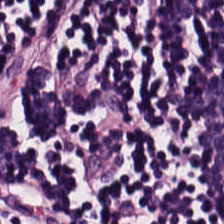H&E.
Classification: lymphoid infiltrate.
